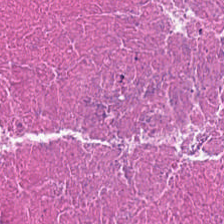0.5 µm/px · hematoxylin and eosin · 224×224 px patch. The tissue here is necrotic debris.
